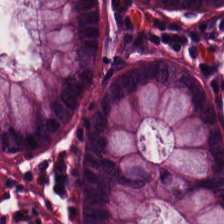Stain: H&E.
Acquisition: brightfield microscopy.
Preparation: formalin-fixed paraffin-embedded section.
Tissue class: non-neoplastic colon mucosa.
